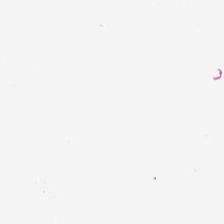Content: empty background.
